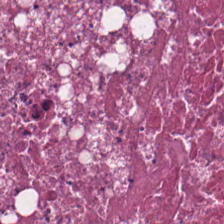H&E-stained tissue section.
Showing necrotic debris.
